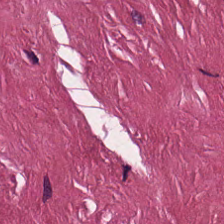H&E · 224×224 pixel tile.
Finding → tumor-associated stroma.
